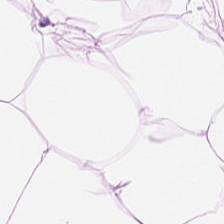Stain: hematoxylin-and-eosin stained section.
Tissue type: adipocytes.
